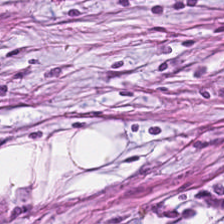0.5 µm/px. 224×224 pixel tile. H&E-stained tissue section — The tissue here is tumor stroma.
